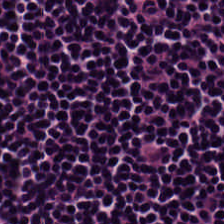Brightfield microscopy; hematoxylin and eosin. This patch shows lymphocytic infiltrate.
